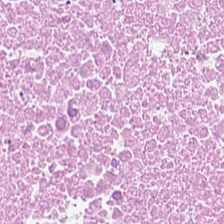H&E-stained tissue section.
Tissue type — necrotic debris.
